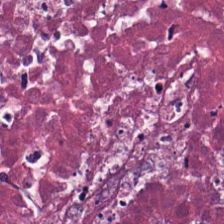Stain: hematoxylin-and-eosin stained section.
Preparation: FFPE tissue section.
Tissue type: debris.
